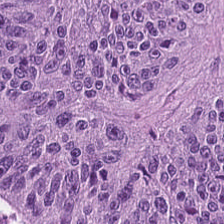0.5 µm/px. H&E-stained tissue section. Tissue = adenocarcinoma.
